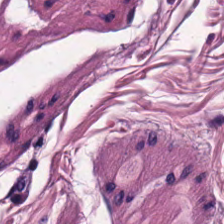Showing muscularis.
